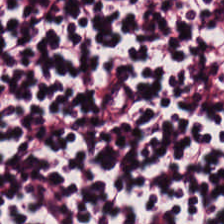Predominant tissue — lymphocytes.
